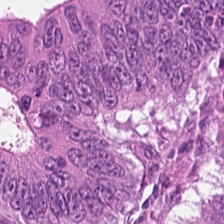0.5 µm/px; H&E. Classification = malignant epithelium.
